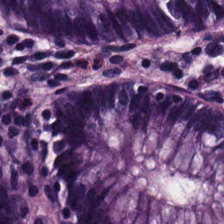H&E · 224×224 px patch · 0.5 microns per pixel. Q: What is shown here?
A: It is non-neoplastic colon mucosa.
